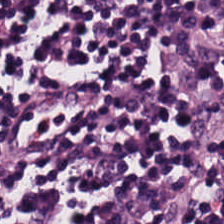H&E stain. {"tissue_type": "lymphoid infiltrate"}
